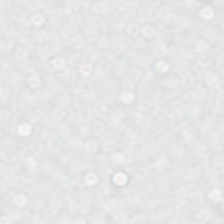H&E · whole-slide-image patch. Classification = background.
